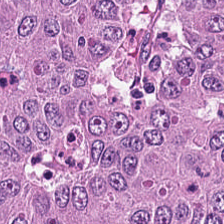Hematoxylin and eosin — Showing malignant epithelium.
